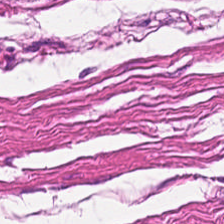This patch shows smooth muscle.
